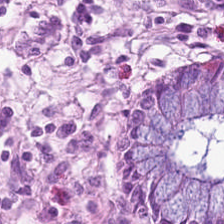0.5 microns per pixel; H&E; brightfield. Predominant tissue — benign colonic mucosa.
